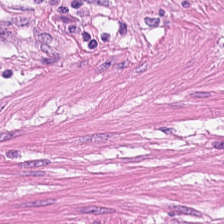Formalin-fixed paraffin-embedded section. H&E.
This field is smooth muscle.
